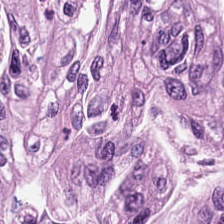Hematoxylin-and-eosin stained section.
Histology — malignant epithelium.
